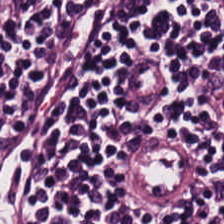Hematoxylin-and-eosin stained section. Classification — lymphocytic infiltrate.
